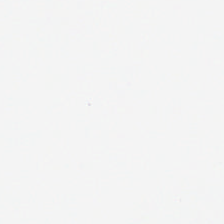Hematoxylin and eosin — Background (no tissue).
